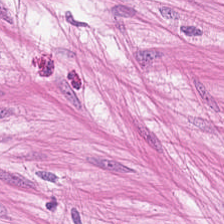Stain: H&E stain.
Classification: muscularis.
